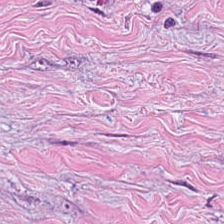Hematoxylin and eosin. 224×224 px tile. Impression → cancer-associated stroma.
